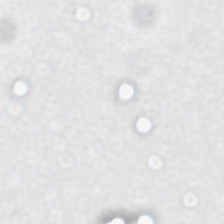Hematoxylin and eosin — Q: Classify this patch.
A: This is background (no tissue).
